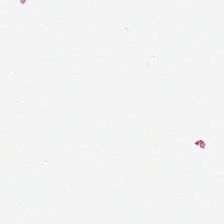H&E. 20× equivalent magnification. No tissue present; background only.
